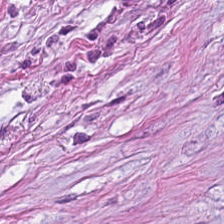Tissue class = cancer-associated stroma.
